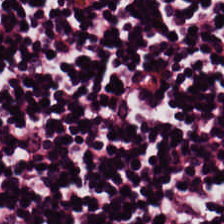H&E-stained tissue section — Classification = lymphocyte aggregate.
